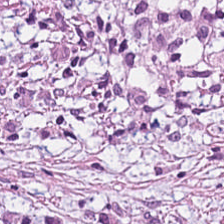Histology → cancer-associated stroma.
